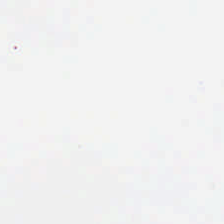H&E stain; FFPE tissue section. Finding — empty background.
